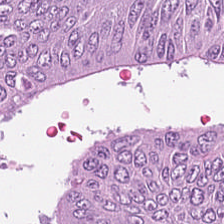H&E. Q: Identify the tissue.
A: Colorectal adenocarcinoma epithelium.
